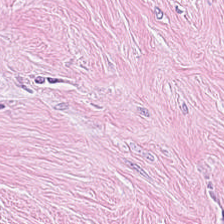Hematoxylin-and-eosin stained section. Tissue — cancer-associated stroma.
